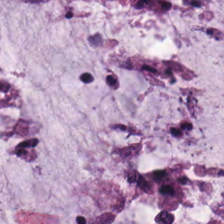Tissue — mucus.
